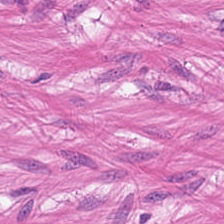Showing muscularis.
